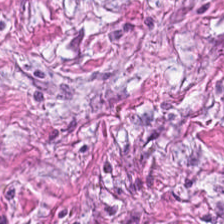H&E stain; 0.5 µm/px.
The tissue is tumor stroma.
